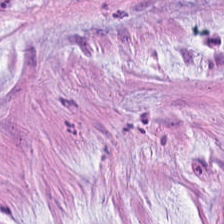Predominant tissue — mucus.
